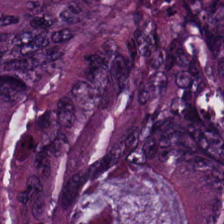H&E-stained tissue section. This field is adenocarcinoma.
